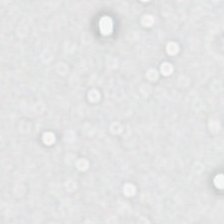Hematoxylin and eosin; FFPE. This patch shows background.
